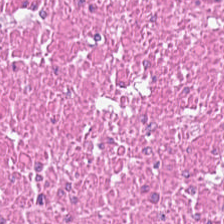Q: What type of tissue is this?
A: The field shows smooth muscle.
